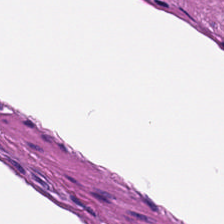H&E-stained tissue section — Muscularis.
